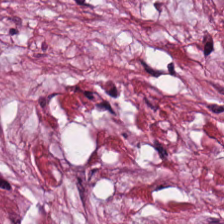Classification = tumor stroma.
